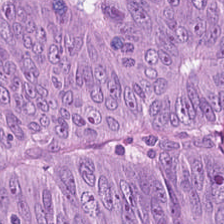Showing tumor epithelium.
